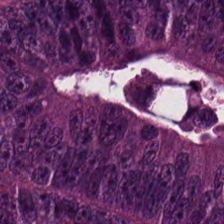The predominant tissue is malignant epithelium.
